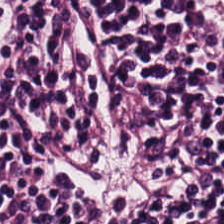FFPE tissue section. H&E stain.
Q: What is the predominant tissue type?
A: Lymphocytes.
